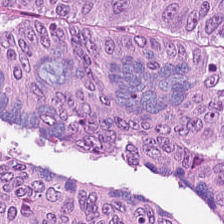Hematoxylin-and-eosin stained section. Q: What does this patch show?
A: The field shows tumor epithelium.
